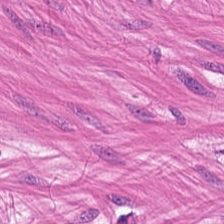H&E-stained tissue section. Showing muscularis.
